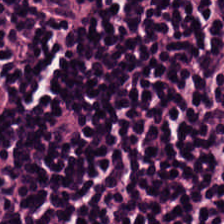Stain: H&E stain.
Classification: lymphocytes.
